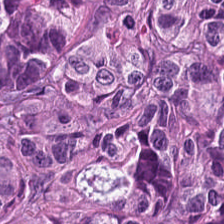The tissue type is colorectal adenocarcinoma epithelium.
